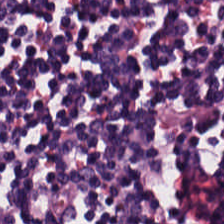Hematoxylin-and-eosin stained section — {"tissue_type": "lymphocyte aggregate"}
